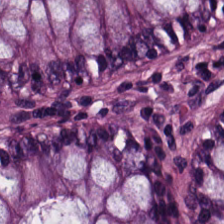Stain: hematoxylin-and-eosin stained section.
Predominant tissue: normal colon mucosa.
